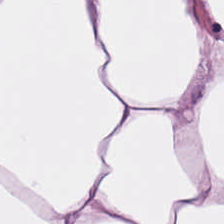Hematoxylin and eosin · FFPE tissue section — Tissue — adipose tissue.
